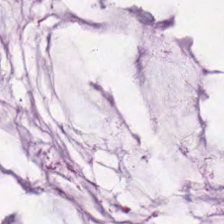The tissue class is extracellular mucin.
